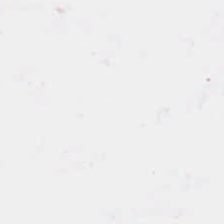0.5 microns per pixel · H&E stain.
This patch shows empty background.
